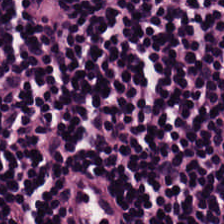Hematoxylin-and-eosin section: lymphocytes.
